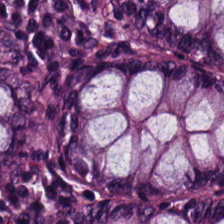H&E-stained section; the field shows non-neoplastic colon mucosa.
